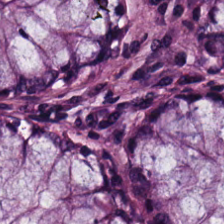Hematoxylin-and-eosin stained section — {"tissue_type": "non-neoplastic colon mucosa"}
